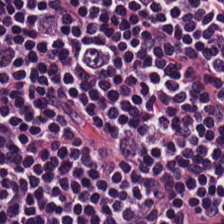H&E-stained section; the field shows lymphocytes.
